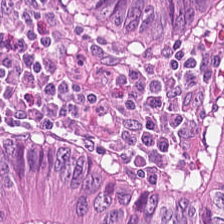Hematoxylin and eosin. The predominant tissue is colorectal adenocarcinoma epithelium.
